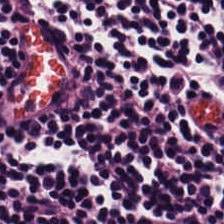Stain: H&E.
Tile size: 224×224 px patch.
Classification: lymphocytes.
